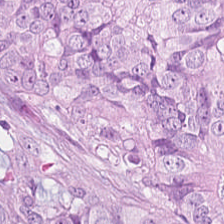FFPE. H&E. 20× equivalent magnification — Q: What does this patch show?
A: The field shows adenocarcinoma.
